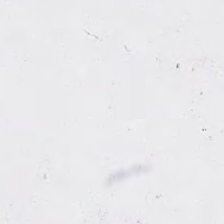Brightfield. H&E. Classification = no tissue.
